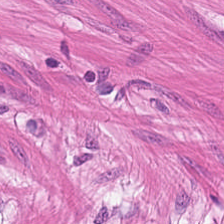H&E stain · 224×224 px tile.
Muscularis.
